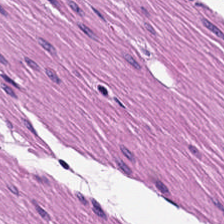H&E — muscularis.
